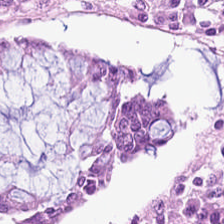Brightfield. Hematoxylin-and-eosin stained section — Q: Identify the tissue.
A: The field shows benign colonic mucosa.
